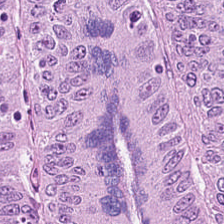224×224 pixel tile. FFPE. Hematoxylin-and-eosin stained section. The tissue here is malignant epithelium.
